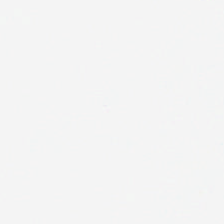Stain: hematoxylin-and-eosin stained section.
Classification: no tissue.
